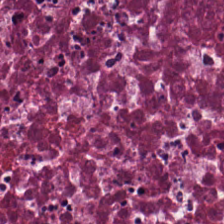Formalin-fixed paraffin-embedded section. Hematoxylin-and-eosin stained section. Finding — cellular debris.
